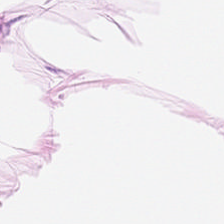This patch shows fat tissue.
